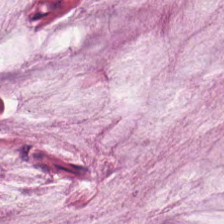Stain: hematoxylin-and-eosin stained section.
Tissue type: extracellular mucin.
